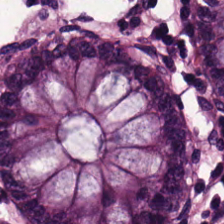Hematoxylin-and-eosin stained section.
Tissue — normal colonic mucosa.
